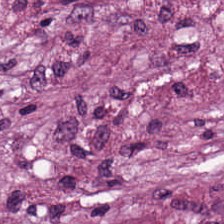This field is desmoplastic stroma.
